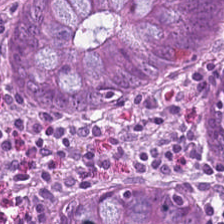H&E stain · WSI patch — Benign colonic mucosa.
